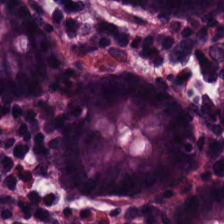FFPE · hematoxylin-and-eosin stained section. Predominantly non-neoplastic colon mucosa.
